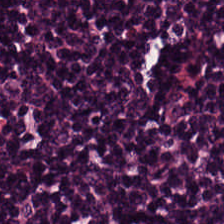Showing lymphoid infiltrate.
